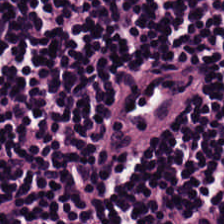H&E stain. Classification — lymphoid infiltrate.
